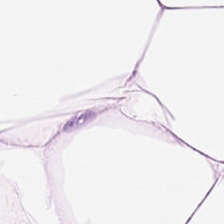FFPE; H&E stain; 0.5 µm/px. Q: Classify this patch.
A: It is adipose.
